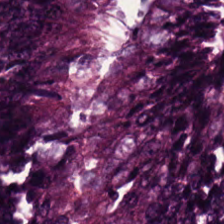H&E-stained tissue section. {"tissue_type": "colorectal adenocarcinoma"}
